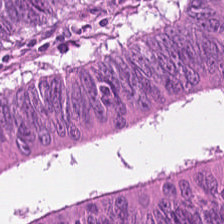Hematoxylin-and-eosin stained section — Histology → malignant epithelium.
